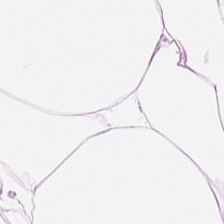Hematoxylin and eosin · WSI patch. The tissue here is adipose.
